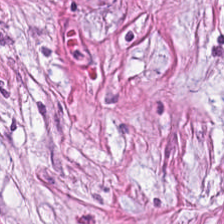224×224 px patch · H&E-stained tissue section. This patch shows cancer-associated stroma.
